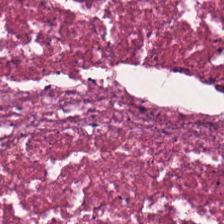Hematoxylin-and-eosin stained section — Showing debris.
